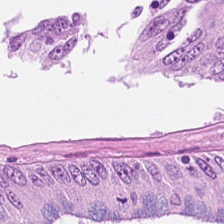Histology — colorectal adenocarcinoma epithelium.
